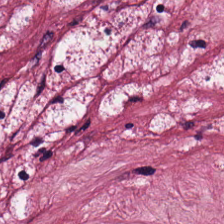Hematoxylin-and-eosin stained section. FFPE. Tissue class — tumor stroma.
